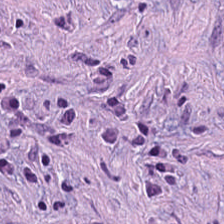224×224 px tile. Whole-slide-image patch. H&E-stained tissue section — Finding → desmoplastic stroma.
